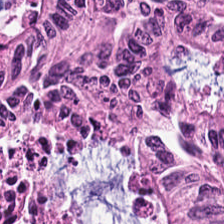H&E-stained tissue section. Tissue = malignant epithelium.
